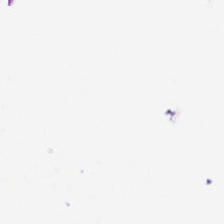Hematoxylin and eosin — Empty field — no tissue.
